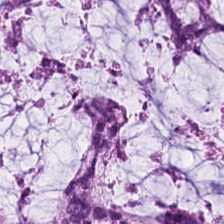Stain: hematoxylin-and-eosin stained section.
Tissue type: mucus.
